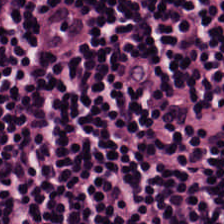Stain: H&E-stained tissue section.
Tile size: 224×224 px tile.
Tissue type: lymphocyte aggregate.
